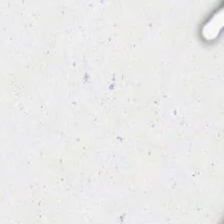0.5 µm/px. Hematoxylin-and-eosin stained section. 224×224 pixel tile.
The content is empty background.
